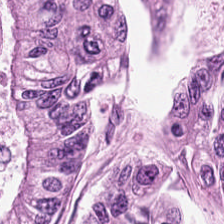Malignant epithelium.
